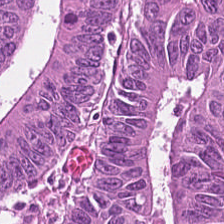Showing tumor epithelium.
